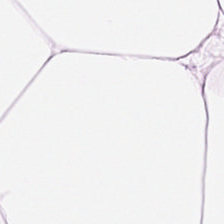FFPE tissue section · hematoxylin and eosin · whole-slide-image patch. Histology — fat tissue.
